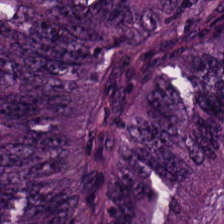H&E. The predominant tissue is tumor epithelium.
